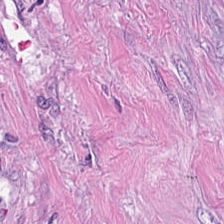H&E. Finding → tumor-associated stroma.
